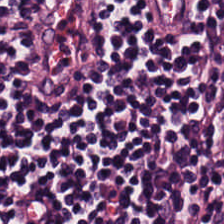H&E-stained tissue section.
Predominantly lymphocytes.
